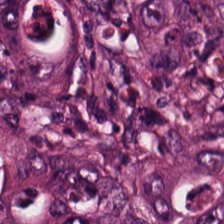0.5 microns per pixel; H&E stain. Q: What is the predominant tissue type?
A: It is colorectal adenocarcinoma.
